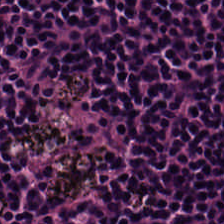Hematoxylin and eosin. Showing lymphocytes.
